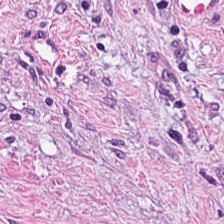H&E-stained section; the field shows tumor stroma.
